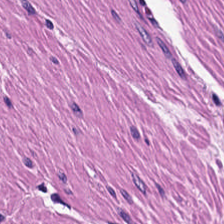Classification: smooth-muscle tissue.
